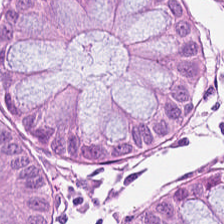H&E-stained tissue section — Tissue class — non-neoplastic colon mucosa.
